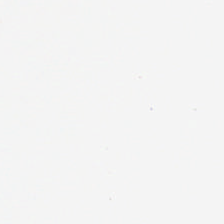H&E stain; 0.5 µm per pixel. This patch shows no tissue.
